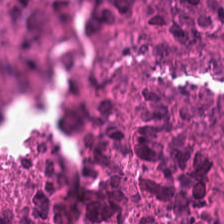H&E — This field is cellular debris.
